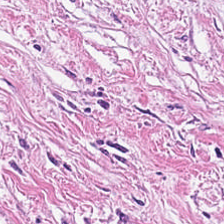H&E patch showing tumor-associated stroma.
